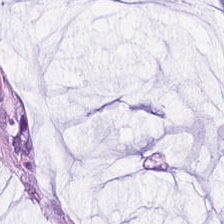H&E patch showing mucus.
